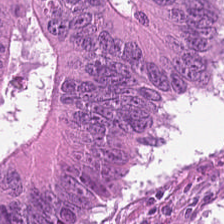Formalin-fixed paraffin-embedded section. 224×224 px patch. H&E-stained tissue section. This field is malignant epithelium.
